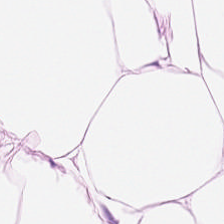H&E-stained tissue section. FFPE tissue section. Brightfield — Showing adipocytes.
